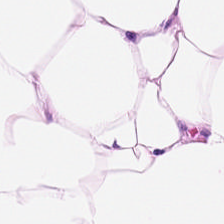224×224 px tile; 0.5 µm/px; hematoxylin and eosin — Tissue — adipocytes.
